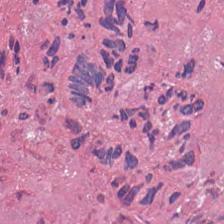H&E. Tissue = necrotic debris.
